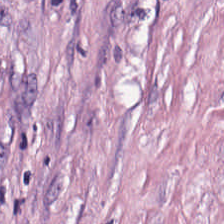H&E. 224×224 px patch. FFPE.
This field is desmoplastic stroma.
